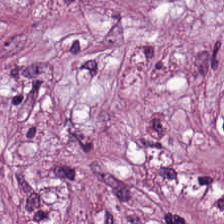H&E; formalin-fixed paraffin-embedded section. Cancer-associated stroma.
